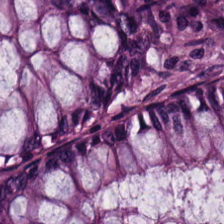H&E.
Finding → normal colonic mucosa.
